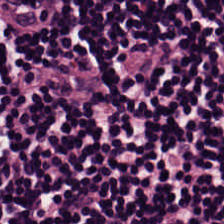H&E stain. Q: Identify the tissue.
A: Lymphocyte aggregate.
